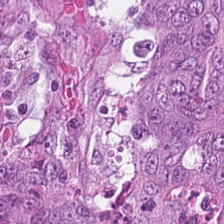Hematoxylin and eosin · 0.5 µm/px. This field is colorectal adenocarcinoma.
